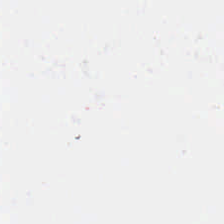H&E-stained tissue section — Histology → no tissue.
